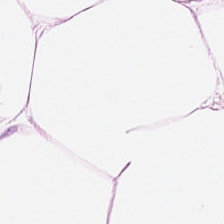Hematoxylin and eosin. Classification: adipocytes.
